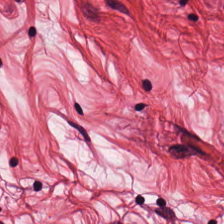The predominant tissue is muscularis.
